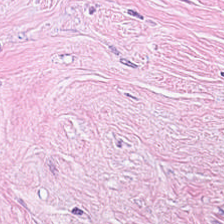Histology → cancer-associated stroma.
